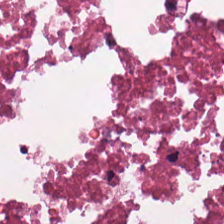H&E stain.
Predominantly necrotic debris.
